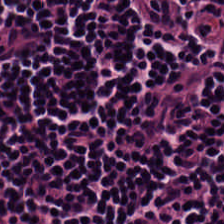Classification = lymphocytes.
